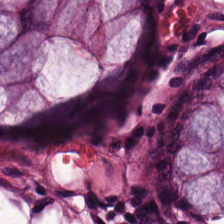H&E-stained tissue section. The tissue here is normal colonic mucosa.
